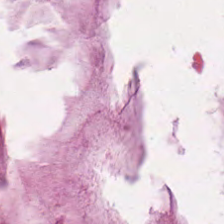Q: What does this patch show?
A: The field shows mucin.
